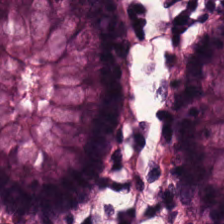224×224 px tile; H&E. The tissue here is normal colonic mucosa.
